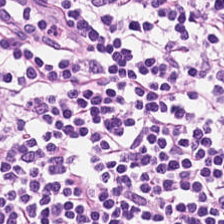Brightfield microscopy · hematoxylin and eosin · FFPE tissue section.
Lymphoid infiltrate.
